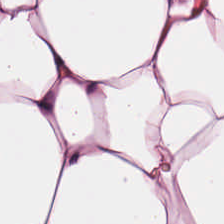Q: What type of tissue is this?
A: This is adipose tissue.
